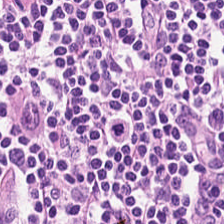Hematoxylin-and-eosin stained section; 0.5 microns per pixel; FFPE.
Impression → lymphoid infiltrate.
